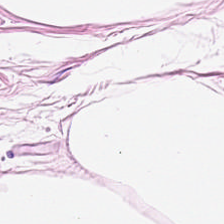{"tissue_type": "adipose"}
